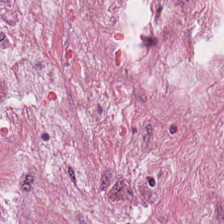H&E-stained tissue section — Tissue class = tumor stroma.
